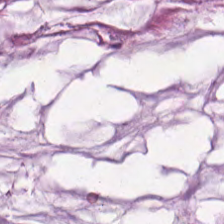Brightfield microscopy · 224×224 px patch · H&E-stained tissue section — Classification: mucin.
